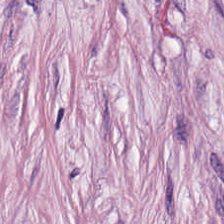H&E-stained tissue section.
{"tissue_type": "tumor-associated stroma"}
